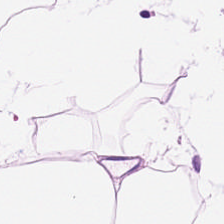Predominant tissue = adipocytes.
